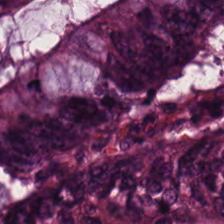Hematoxylin and eosin.
Tissue = colorectal adenocarcinoma epithelium.
